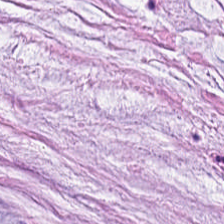Stain: H&E-stained tissue section.
Tissue: extracellular mucin.
